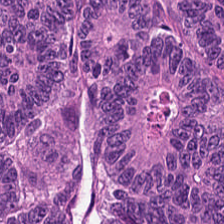Q: What is shown in this field?
A: This is adenocarcinoma.
